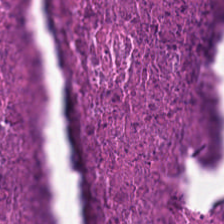Hematoxylin-and-eosin stained section — Finding — debris.
